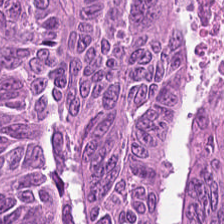H&E-stained tissue section — Tissue type = colorectal adenocarcinoma epithelium.
